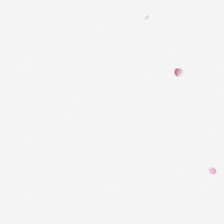Hematoxylin and eosin — Background (no tissue).
